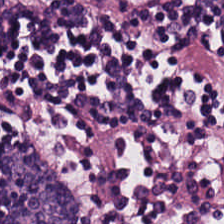224×224 px patch; H&E.
Finding → lymphocyte aggregate.
